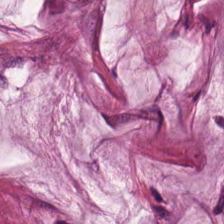H&E; 0.5 µm/px.
Q: What is shown here?
A: This is mucin.
